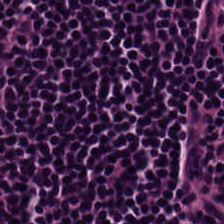FFPE tissue section. H&E. Brightfield microscopy.
Q: What tissue type is shown here?
A: This is lymphoid infiltrate.
